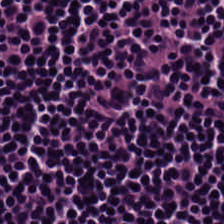FFPE; hematoxylin and eosin; brightfield — Tissue class: lymphocytic infiltrate.
